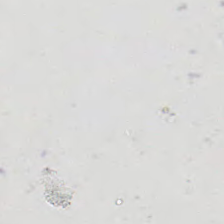H&E.
Empty field — no tissue.
